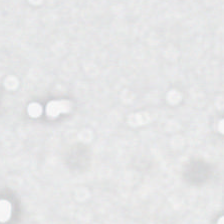Field content — no tissue.
